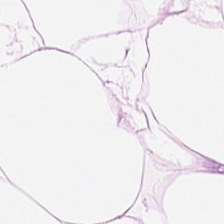Hematoxylin and eosin. Impression → adipose.
